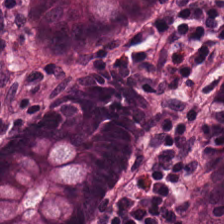FFPE; 224×224 pixel tile; hematoxylin and eosin.
Histology — normal colon mucosa.
